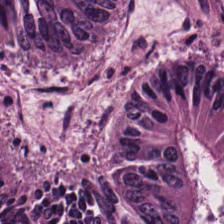0.5 µm/px · H&E — The tissue here is colorectal adenocarcinoma.
